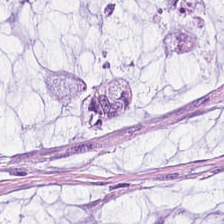The predominant tissue is mucus.
